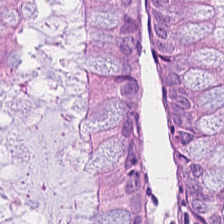H&E-stained tissue section — Histology → benign colonic mucosa.
